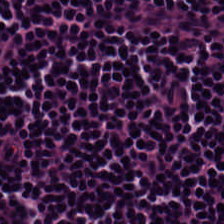{"tissue_type": "lymphoid infiltrate"}
